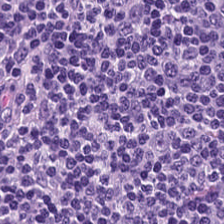H&E stain; FFPE; 0.5 µm per pixel — Tissue type = lymphoid infiltrate.
